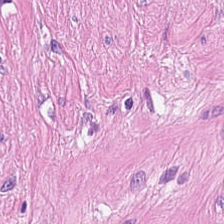Q: Classify this patch.
A: This is muscularis.
